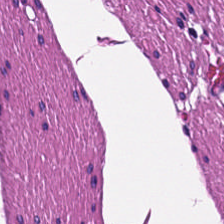Hematoxylin-and-eosin stained section.
Predominantly smooth-muscle tissue.
